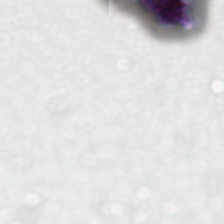H&E. Field content — background (no tissue).
